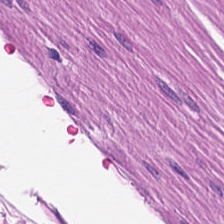0.5 microns per pixel · H&E. The tissue type is smooth muscle.
